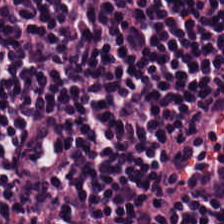H&E-stained tissue section — Lymphocytic infiltrate.
